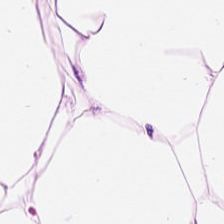Hematoxylin and eosin. Impression — adipocytes.
